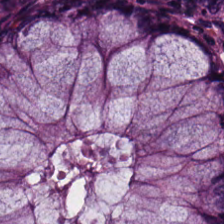Hematoxylin-and-eosin stained section — Impression → normal colon mucosa.
